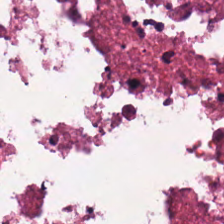H&E. Formalin-fixed paraffin-embedded section. 224×224 pixel tile — Q: What does this patch show?
A: It is cellular debris.
